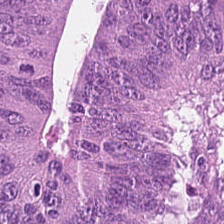The tissue here is colorectal adenocarcinoma.
